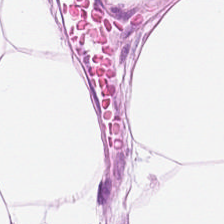H&E stain. Classification = adipose tissue.
